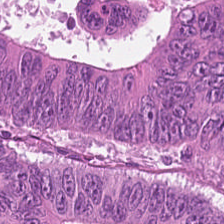0.5 microns per pixel · H&E — Predominant tissue: tumor epithelium.
